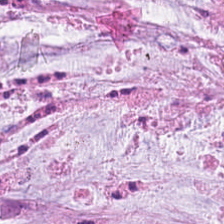H&E-stained tissue section; 224×224 pixel tile.
Tissue type: extracellular mucin.
